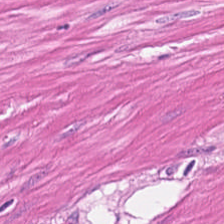224×224 pixel tile. Hematoxylin-and-eosin stained section.
{"tissue_type": "muscularis"}
